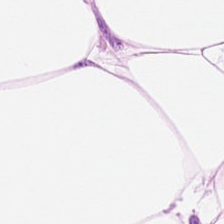Brightfield; hematoxylin and eosin; 224×224 px tile. Adipocytes.
